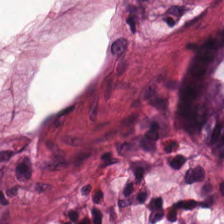Hematoxylin and eosin — Tissue type = normal colonic mucosa.
